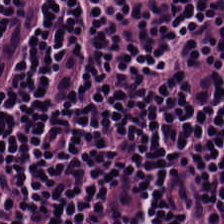20× equivalent magnification · H&E. Q: What tissue type is shown here?
A: This is lymphocytic infiltrate.
